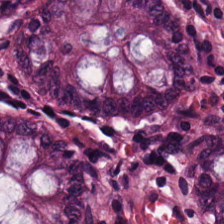H&E. The predominant tissue is normal colon mucosa.
